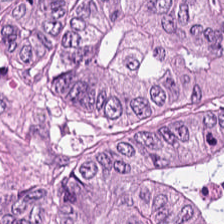FFPE tissue section. WSI patch. H&E stain.
Adenocarcinoma.
